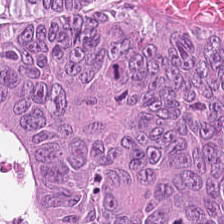Hematoxylin and eosin. Q: What is shown in this field?
A: It is colorectal adenocarcinoma.
